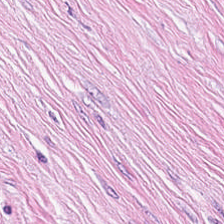H&E. 224×224 px tile.
Predominant tissue: tumor-associated stroma.
